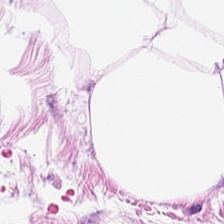224×224 px tile. Hematoxylin-and-eosin stained section — Q: What is shown in this field?
A: It is adipose tissue.
